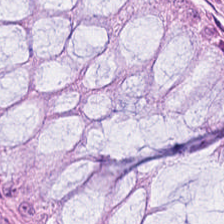Hematoxylin-and-eosin stained section. Predominantly non-neoplastic colon mucosa.
